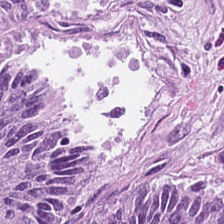Hematoxylin-and-eosin stained section — The tissue here is tumor epithelium.
